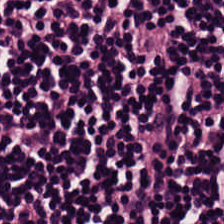H&E stain; whole-slide-image patch. The tissue here is lymphocytes.
